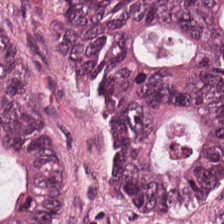Q: Identify the tissue.
A: It is colorectal adenocarcinoma epithelium.
